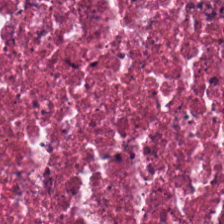Formalin-fixed paraffin-embedded section · hematoxylin-and-eosin stained section · 224×224 px patch — Tissue = necrotic debris.
